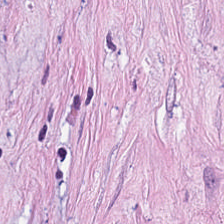Hematoxylin-and-eosin stained section. This patch shows tumor-associated stroma.
